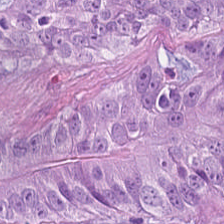224×224 px tile · H&E-stained tissue section — Q: What tissue is shown?
A: This is adenocarcinoma.
